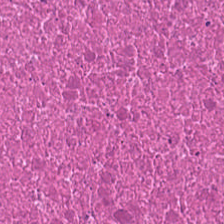H&E. Brightfield microscopy. FFPE tissue section.
Histology — debris.
